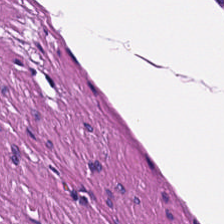0.5 µm per pixel; brightfield; hematoxylin and eosin. Histology — smooth muscle.
